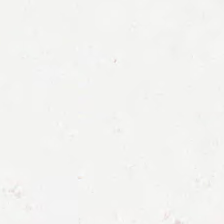Stain: H&E.
Content: no tissue.
